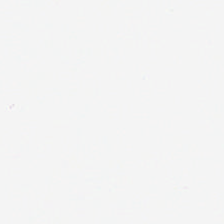FFPE · hematoxylin and eosin.
Content: background (no tissue).
